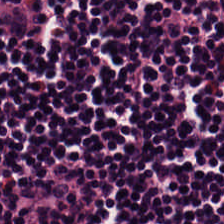Predominant tissue = lymphocytic infiltrate.
